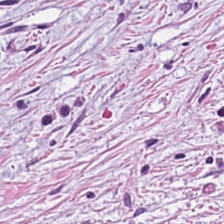H&E; 0.5 µm per pixel; brightfield — Tumor stroma.
